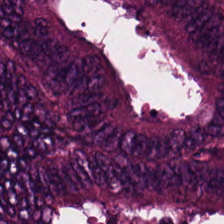H&E stain. Q: Identify the tissue.
A: Tumor epithelium.
